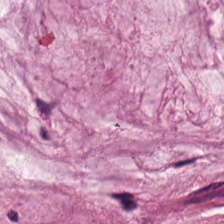FFPE · 224×224 pixel tile · H&E-stained tissue section — The predominant tissue is mucin.
